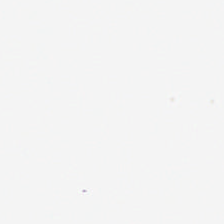0.5 microns per pixel · hematoxylin-and-eosin stained section.
{"content": "empty background"}
